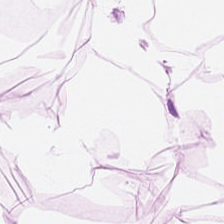224×224 px tile · hematoxylin and eosin — This field is adipose tissue.
